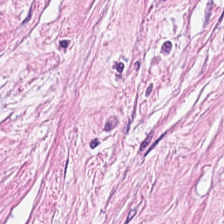Brightfield microscopy; 224×224 px tile; hematoxylin-and-eosin stained section — Histology → tumor-associated stroma.
